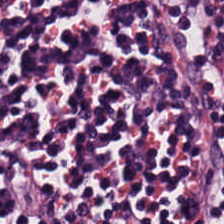Classification: lymphocytic infiltrate.
